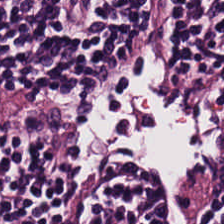H&E stain.
Predominant tissue = lymphocyte aggregate.
